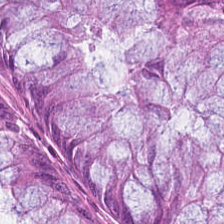Hematoxylin-and-eosin stained section. FFPE — The predominant tissue is normal colon mucosa.
